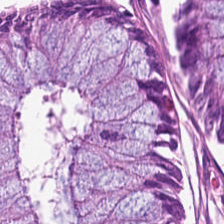Hematoxylin and eosin. The classification is normal colon mucosa.
